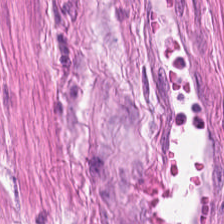Hematoxylin-and-eosin stained section.
Q: What is the predominant tissue type?
A: This is smooth-muscle tissue.
